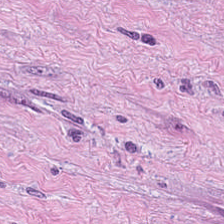H&E stain.
Predominant tissue = cancer-associated stroma.
